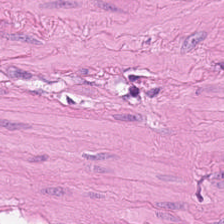H&E. This patch shows smooth-muscle tissue.
